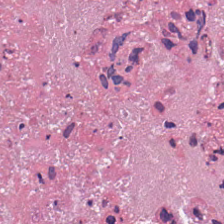Hematoxylin-and-eosin stained section; 224×224 pixel tile; 20× equivalent magnification — The tissue is cellular debris.
